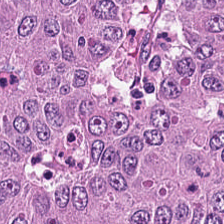Predominant tissue — adenocarcinoma.
